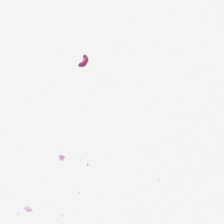Finding — background.
